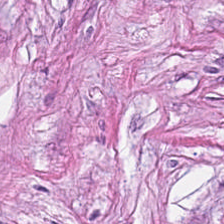H&E · FFPE tissue section.
This field is desmoplastic stroma.
